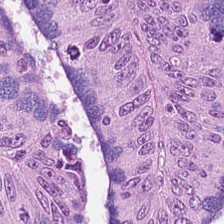The tissue type is malignant epithelium.
